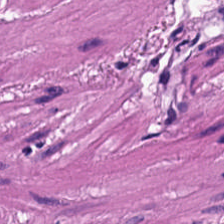0.5 microns per pixel. Hematoxylin and eosin. FFPE.
Classification = smooth muscle.
